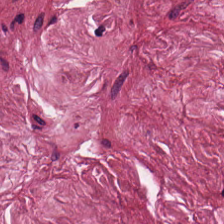Q: What type of tissue is this?
A: Tumor stroma.
